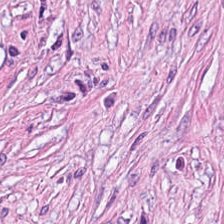Hematoxylin-and-eosin stained section.
The tissue here is tumor-associated stroma.
